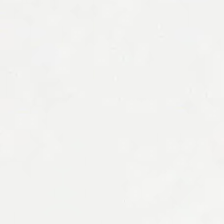Finding → background.
